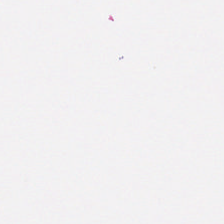Stain: H&E-stained tissue section.
Acquisition: brightfield microscopy.
Tissue: smooth muscle.
